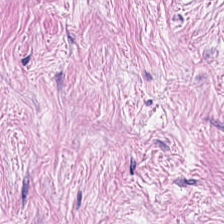H&E stain. {"tissue_type": "tumor-associated stroma"}
